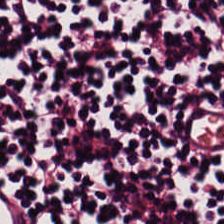H&E. Q: Identify the tissue.
A: Lymphocyte aggregate.
